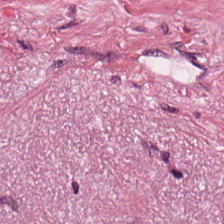H&E-stained tissue section; 0.5 microns per pixel.
Tissue class: desmoplastic stroma.
